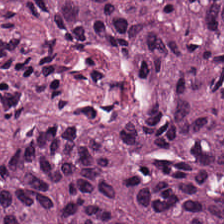224×224 pixel tile · H&E-stained tissue section · 0.5 µm/px.
This patch shows tumor epithelium.
